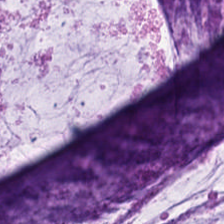Hematoxylin and eosin — The predominant tissue is extracellular mucin.
